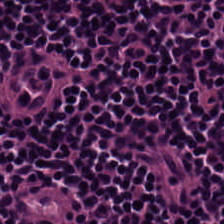The tissue class is lymphocytic infiltrate.
